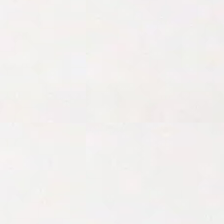Content = no tissue.
